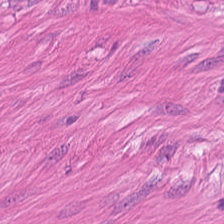Hematoxylin and eosin. 224×224 px patch. Whole-slide-image patch.
{"tissue_type": "smooth muscle"}
